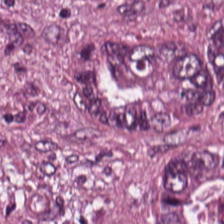Stain: H&E-stained tissue section.
Resolution: 20× equivalent magnification.
Tissue class: colorectal adenocarcinoma.
